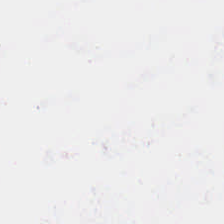H&E-stained tissue section — {"content": "background (no tissue)"}
